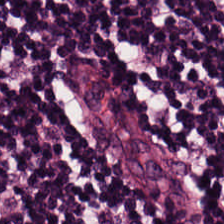H&E stain — Q: What is the predominant tissue type?
A: It is lymphoid infiltrate.
